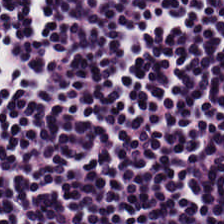H&E.
Predominantly lymphocytic infiltrate.
